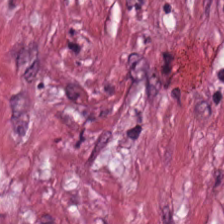H&E stain.
Predominant tissue — desmoplastic stroma.
